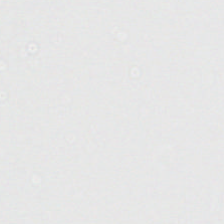Whole-slide-image patch; H&E stain — Q: Classify this patch.
A: The field shows no tissue.
